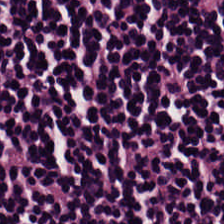H&E stain.
The tissue here is lymphocytic infiltrate.
